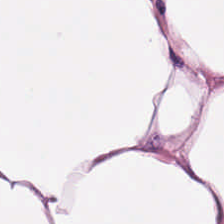0.5 microns per pixel. FFPE. H&E stain.
Q: What does this patch show?
A: It is adipose tissue.
